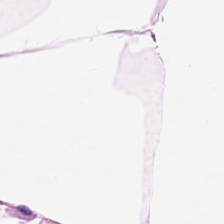H&E stain — Tissue — adipose tissue.
